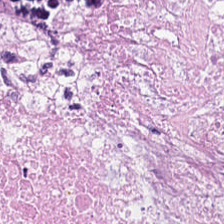H&E-stained tissue section — Showing debris.
